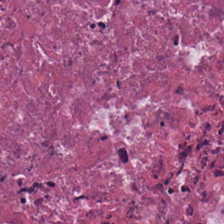Formalin-fixed paraffin-embedded section. H&E. Impression — debris.
